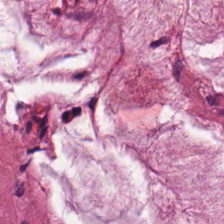Q: What does this patch show?
A: It is mucus.
